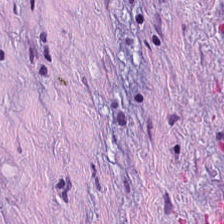20× equivalent magnification · H&E stain.
The tissue is cancer-associated stroma.
